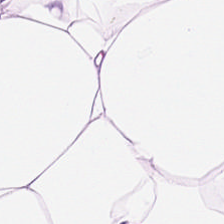H&E-stained tissue section.
Q: Identify the tissue.
A: The field shows adipocytes.
